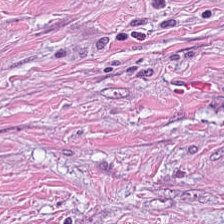Q: What tissue type is shown here?
A: Tumor-associated stroma.
